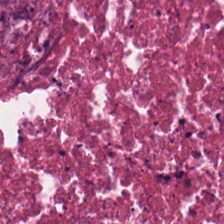Stain: H&E.
Tissue class: cellular debris.
